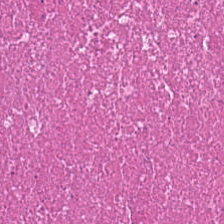Hematoxylin and eosin. 0.5 microns per pixel.
The tissue here is necrotic debris.
